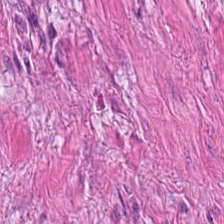{"tissue_type": "muscularis"}
